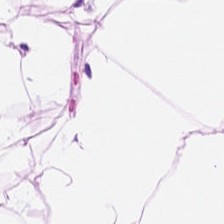Stain: hematoxylin-and-eosin stained section.
Classification: adipose tissue.
